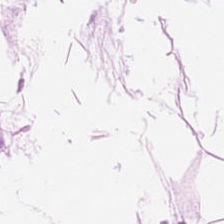The tissue type is adipocytes.
